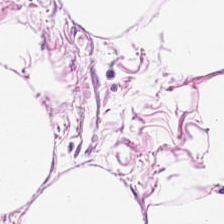Hematoxylin-and-eosin stained section · whole-slide-image patch · FFPE tissue section.
Q: What does this patch show?
A: This is adipose.
